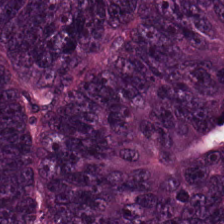H&E-stained tissue section — Tissue: adenocarcinoma.
